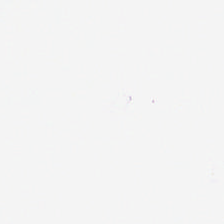The field content is background (no tissue).
